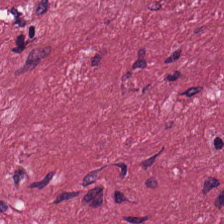Stain: H&E stain.
Classification: tumor stroma.
